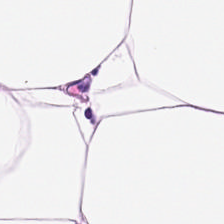H&E stain · 20× equivalent magnification. Q: What tissue type is shown here?
A: It is adipose tissue.
